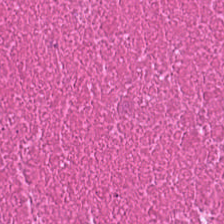H&E. The tissue here is cellular debris.
